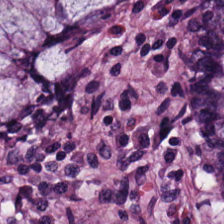Impression — normal colon mucosa.
